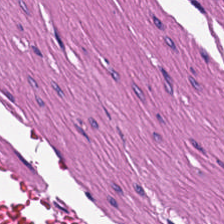H&E-stained tissue section. 0.5 µm per pixel.
This field is smooth-muscle tissue.
